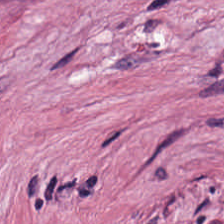224×224 px patch · hematoxylin and eosin · 0.5 µm/px — Tissue class — tumor stroma.
